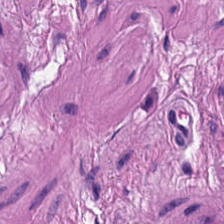Hematoxylin-and-eosin stained section; FFPE; WSI patch — This patch shows smooth-muscle tissue.
